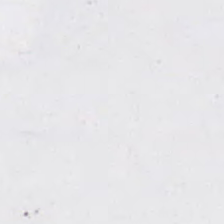FFPE; 20× equivalent magnification; H&E. No tissue present; background only.
